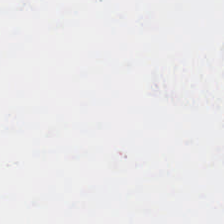FFPE · H&E stain. This field is background (no tissue).
